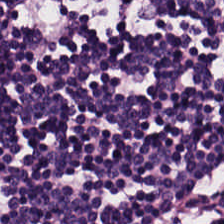H&E · FFPE · 20× equivalent magnification. Showing lymphocytic infiltrate.
